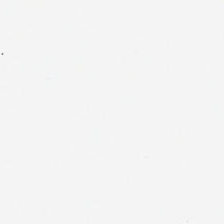Hematoxylin-and-eosin stained section — Field content — background.
